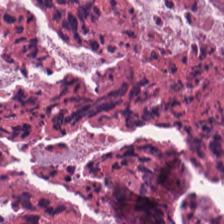Brightfield microscopy · hematoxylin and eosin — The tissue here is cellular debris.
